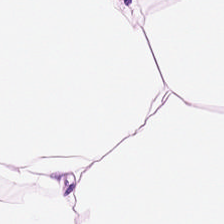Brightfield microscopy. H&E.
Q: What does this patch show?
A: This is fat tissue.
